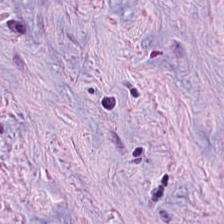H&E stain. 0.5 µm/px.
Histology → cancer-associated stroma.
